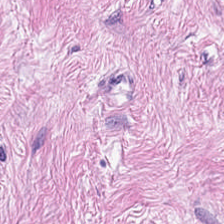H&E-stained tissue section — Finding → cancer-associated stroma.
